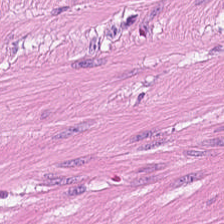Hematoxylin and eosin — Histology — smooth muscle.
